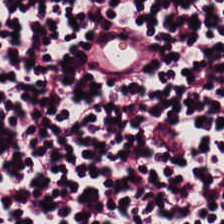Brightfield microscopy · 224×224 px patch · hematoxylin-and-eosin stained section — Histology → lymphocytes.
